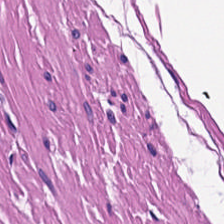Hematoxylin and eosin. 0.5 µm per pixel. Brightfield. Finding → muscularis.
